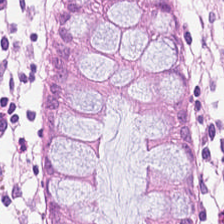H&E-stained tissue section.
Predominantly non-neoplastic colon mucosa.
